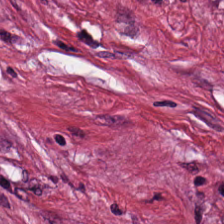Hematoxylin-and-eosin stained section; FFPE tissue section; 224×224 px tile. The predominant tissue is tumor-associated stroma.
